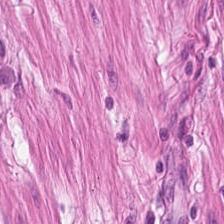FFPE · H&E-stained tissue section.
Tissue type = muscularis.
